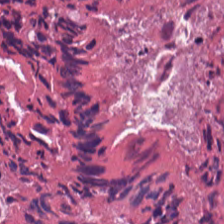H&E — Q: Identify the tissue.
A: This is necrotic debris.
